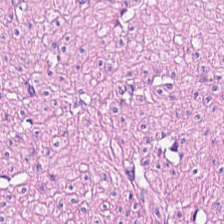FFPE. 224×224 px patch. Hematoxylin and eosin — Classification = smooth-muscle tissue.
